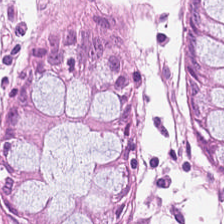H&E-stained tissue section · formalin-fixed paraffin-embedded section — Showing normal colonic mucosa.
